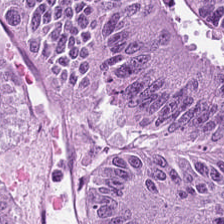224×224 px tile. Hematoxylin and eosin — Showing tumor epithelium.
